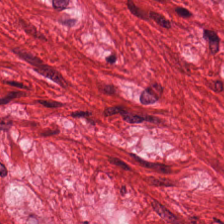Hematoxylin-and-eosin stained section. FFPE tissue section — Q: Classify this patch.
A: This is muscularis.
